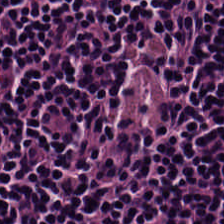H&E stain · 224×224 pixel tile. This field is lymphocytes.
